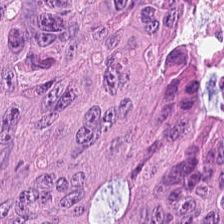Hematoxylin and eosin.
Finding — adenocarcinoma.
